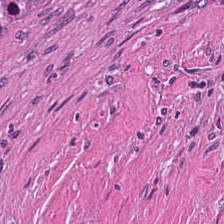WSI patch; hematoxylin and eosin. Tissue — necrotic debris.
